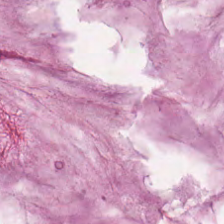Stain: H&E stain.
Tissue: mucin.
